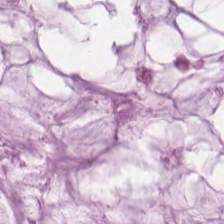Stain: hematoxylin-and-eosin stained section.
Tissue type: mucus.
